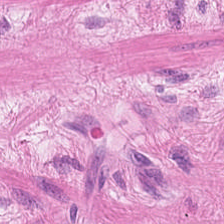H&E-stained section; the field shows smooth muscle.
